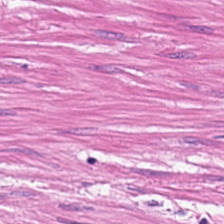224×224 px tile. H&E-stained tissue section — The tissue here is muscularis.
